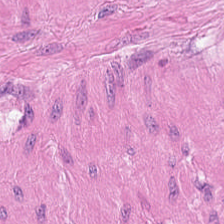H&E-stained tissue section.
Impression — muscularis.
